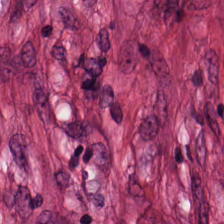H&E stain.
Q: What is shown here?
A: It is desmoplastic stroma.
